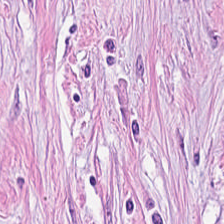FFPE tissue section. Hematoxylin and eosin. Whole-slide-image patch.
Showing tumor-associated stroma.
